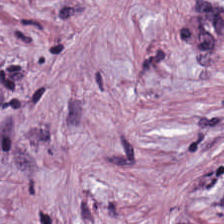Hematoxylin-and-eosin stained section. Whole-slide-image patch. Classification = tumor-associated stroma.
